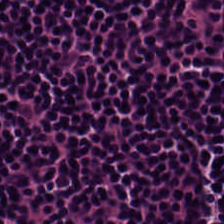Brightfield microscopy · formalin-fixed paraffin-embedded section · hematoxylin-and-eosin stained section — This patch shows lymphoid infiltrate.
